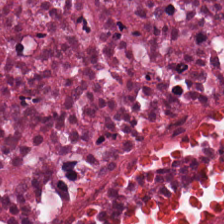Classification — debris.
